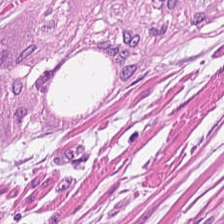Tissue class = smooth-muscle tissue.
